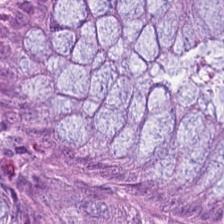Hematoxylin and eosin. This field is normal colon mucosa.
